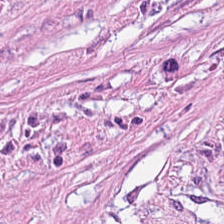Stain: hematoxylin and eosin.
Resolution: 20× equivalent magnification.
Predominant tissue: desmoplastic stroma.
